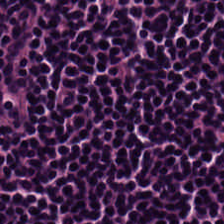H&E stain; 0.5 microns per pixel. Q: What tissue type is shown here?
A: Lymphoid infiltrate.
